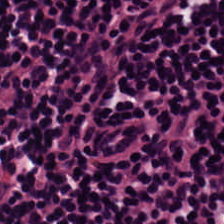Stain: hematoxylin and eosin.
Classification: lymphocytic infiltrate.
